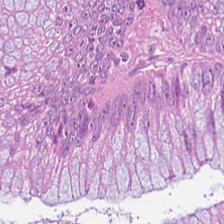0.5 µm/px · hematoxylin-and-eosin stained section.
Tumor epithelium.
